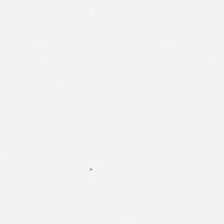FFPE; hematoxylin-and-eosin stained section — Field content: no tissue.
